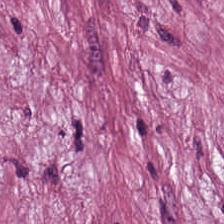Showing desmoplastic stroma.
